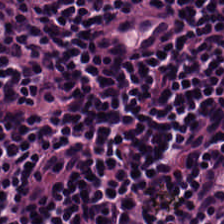Stain: H&E stain.
Resolution: 0.5 µm/px.
Classification: lymphocyte aggregate.
